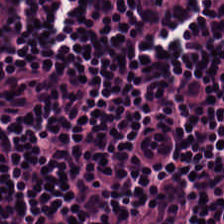Hematoxylin and eosin — Lymphocyte aggregate.
